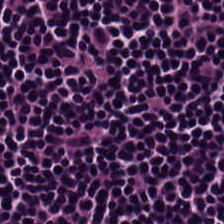H&E — lymphoid infiltrate.
